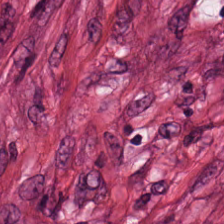H&E stain; FFPE.
Tissue class — tumor stroma.
